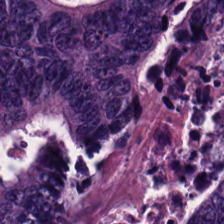Hematoxylin and eosin — Predominantly malignant epithelium.
